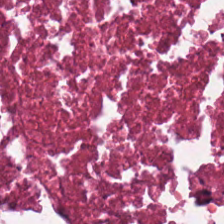0.5 µm/px · H&E.
The predominant tissue is cellular debris.
